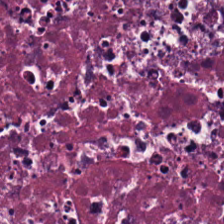WSI patch. H&E. Classification = necrotic debris.
